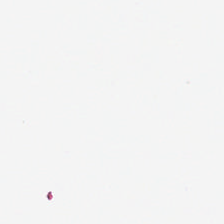H&E stain — The content is empty background.
